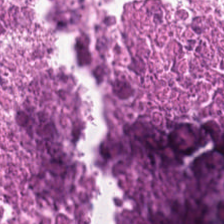Hematoxylin and eosin. Finding → cellular debris.
